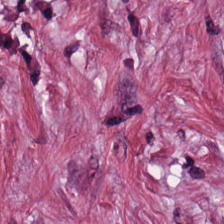Q: Classify this patch.
A: Tumor stroma.
